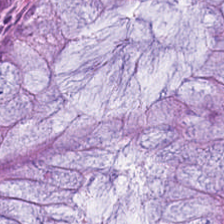Brightfield microscopy; 224×224 px tile; H&E-stained tissue section.
The tissue type is non-neoplastic colon mucosa.
